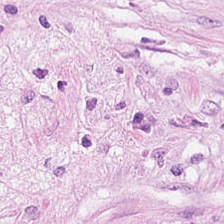Hematoxylin and eosin. FFPE. Brightfield. Predominantly desmoplastic stroma.
